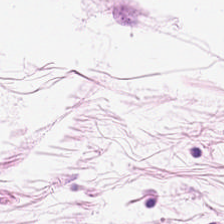0.5 microns per pixel. Hematoxylin-and-eosin stained section. The predominant tissue is adipose.
